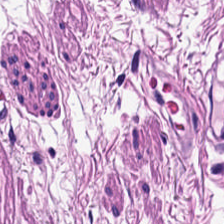H&E stain. The predominant tissue is smooth muscle.
